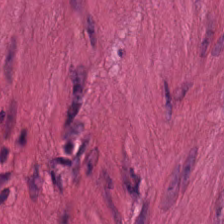H&E-stained tissue section showing muscularis.
